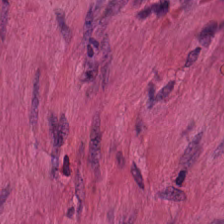{"tissue_type": "smooth muscle"}
